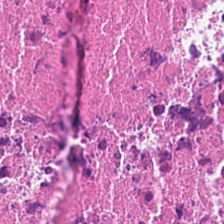Showing necrotic debris.
